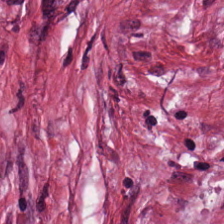H&E patch showing tumor-associated stroma.
